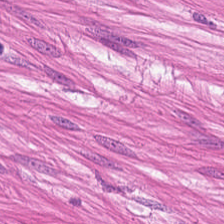H&E stain. Smooth muscle.
